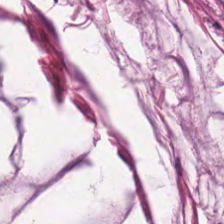H&E stain — Predominant tissue: extracellular mucin.
